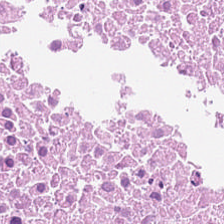Hematoxylin and eosin.
The tissue here is necrotic debris.
